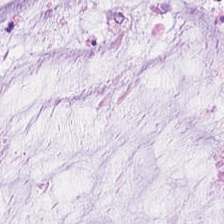Impression — extracellular mucin.
